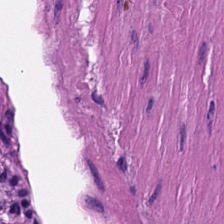H&E stain.
Q: What is shown here?
A: It is muscularis.
